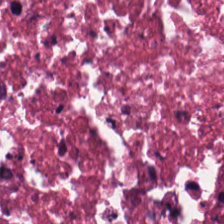Tissue — cellular debris.
